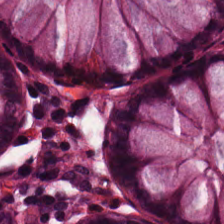Stain: hematoxylin-and-eosin stained section.
Tissue type: normal colon mucosa.
